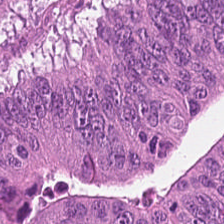Whole-slide-image patch. 224×224 px tile. H&E.
Finding — adenocarcinoma.
